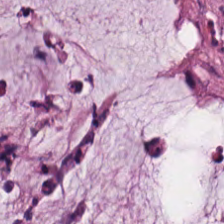Brightfield microscopy. Hematoxylin and eosin. The tissue type is mucus.
